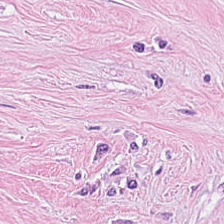Impression → tumor stroma.
